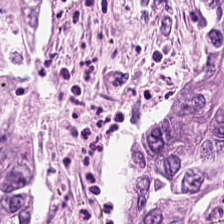224×224 px tile. Hematoxylin and eosin. FFPE — The tissue here is adenocarcinoma.
